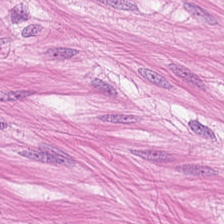H&E stain · FFPE · 0.5 µm/px. Showing muscularis.
